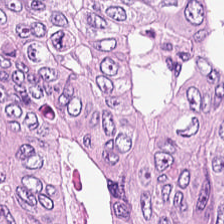The predominant tissue is colorectal adenocarcinoma.
